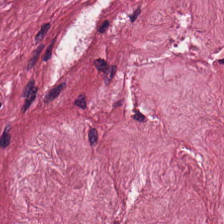Hematoxylin and eosin — Classification = tumor-associated stroma.
